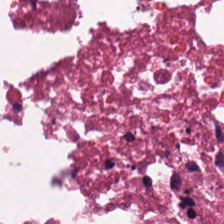Hematoxylin-and-eosin stained section.
Tissue type: cellular debris.
